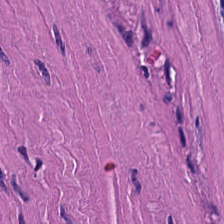Stain: H&E-stained tissue section.
Tissue class: muscularis.
